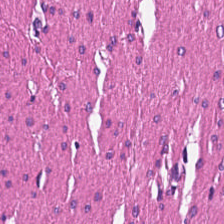Hematoxylin and eosin.
Finding — muscularis.
